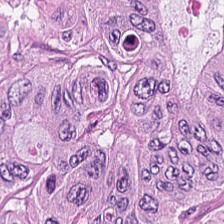Q: What tissue is shown?
A: It is malignant epithelium.
